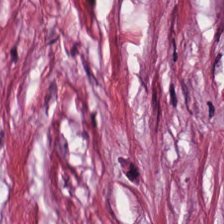H&E. The tissue here is tumor-associated stroma.
